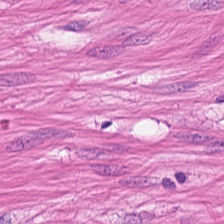Hematoxylin-and-eosin stained section.
Tissue type — muscularis.
